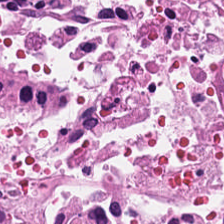Hematoxylin-and-eosin stained section — Tissue = debris.
